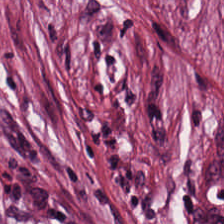Stain: H&E.
Predominant tissue: tumor stroma.
